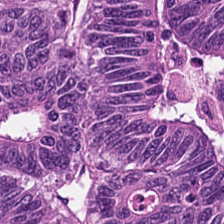Stain: hematoxylin-and-eosin stained section.
Tissue type: colorectal adenocarcinoma.
